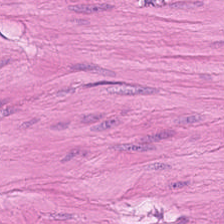Stain: hematoxylin-and-eosin stained section.
Predominant tissue: smooth-muscle tissue.
